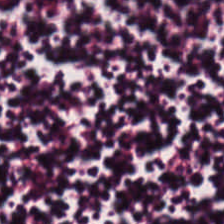H&E. {"tissue_type": "lymphocytic infiltrate"}
